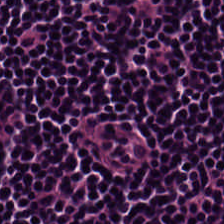Q: Identify the tissue.
A: The field shows lymphocyte aggregate.
